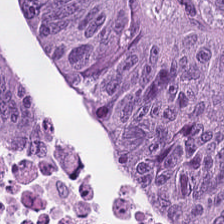H&E-stained tissue section. The predominant tissue is colorectal adenocarcinoma epithelium.
